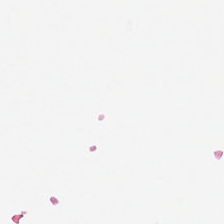Empty background.
